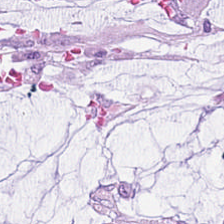H&E. The tissue class is extracellular mucin.
